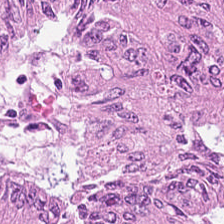Predominantly adenocarcinoma.
